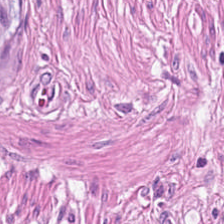20× equivalent magnification · hematoxylin and eosin · 224×224 pixel tile — Q: What does this patch show?
A: This is smooth muscle.
